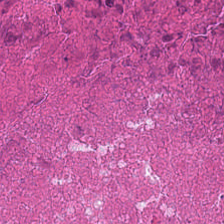H&E stain; FFPE. Predominantly cellular debris.
